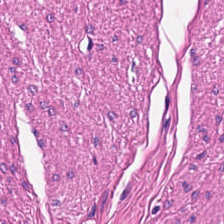H&E stain. Classification — muscularis.
